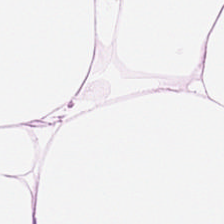WSI patch; hematoxylin-and-eosin stained section. {"tissue_type": "adipose tissue"}
